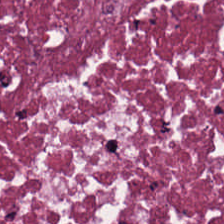Showing debris.
